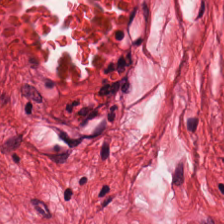FFPE; H&E stain; 20× equivalent magnification. The tissue here is muscularis.
